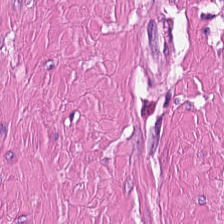Hematoxylin and eosin. Tissue class = smooth-muscle tissue.
